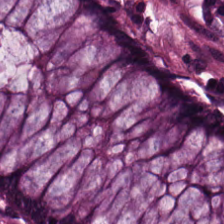H&E stain — Classification: non-neoplastic colon mucosa.
